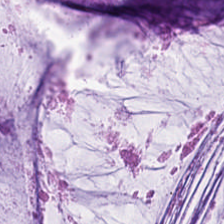H&E.
Q: What type of tissue is this?
A: This is mucin.
